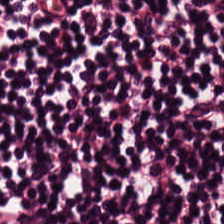H&E-stained tissue section.
{"tissue_type": "lymphocyte aggregate"}
